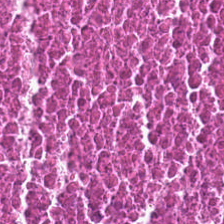H&E stain. {"tissue_type": "debris"}
